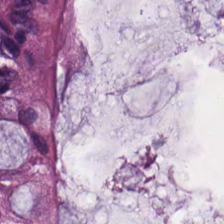H&E.
Showing benign colonic mucosa.
